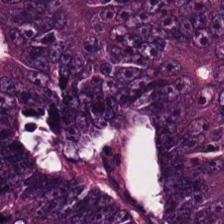H&E. The predominant tissue is colorectal adenocarcinoma.
